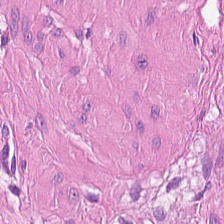Tissue = smooth-muscle tissue.
